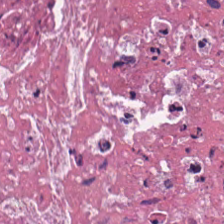Predominant tissue = necrotic debris.
